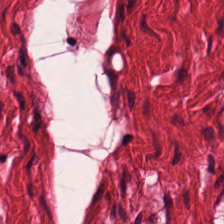Whole-slide-image patch; H&E-stained tissue section; 224×224 pixel tile — {"tissue_type": "muscularis"}
